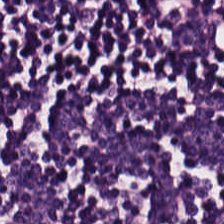H&E.
Predominantly lymphocytes.
